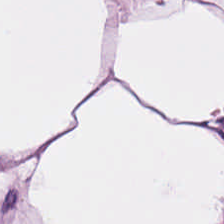H&E-stained section; the field shows adipose tissue.
